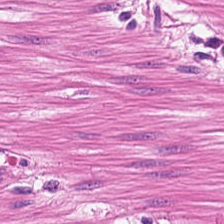Whole-slide-image patch; H&E stain. Finding — smooth-muscle tissue.
